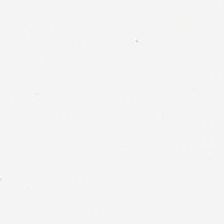Field content — background.
